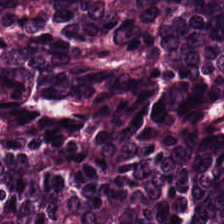H&E. The tissue is colorectal adenocarcinoma epithelium.
